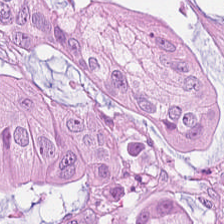Brightfield; 224×224 px tile; H&E-stained tissue section. Tissue type: malignant epithelium.
